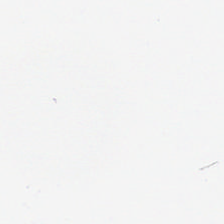Hematoxylin and eosin. Q: What is shown in this field?
A: This is empty background.
